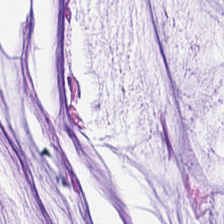H&E-stained tissue section.
Q: What tissue is shown?
A: Extracellular mucin.
